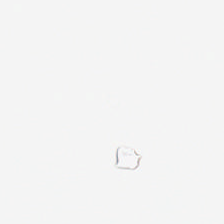Finding — empty background.
